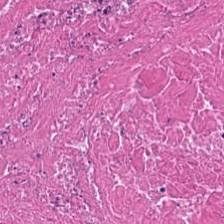Finding → cellular debris.
